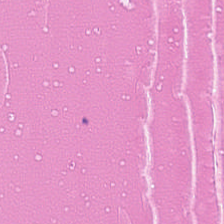224×224 px tile; H&E. {"tissue_type": "debris"}
